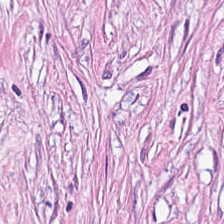{"tissue_type": "tumor-associated stroma"}
